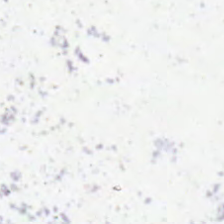Histology — background.
